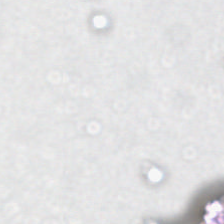20× equivalent magnification. Hematoxylin-and-eosin stained section. FFPE — Classification: background (no tissue).
